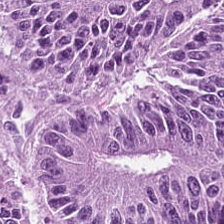Hematoxylin and eosin; 224×224 pixel tile — The tissue here is tumor epithelium.
